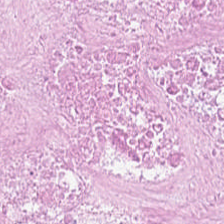Histology → cellular debris.
